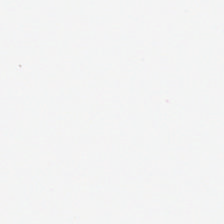Hematoxylin and eosin · WSI patch · 224×224 px tile.
{"content": "background"}
